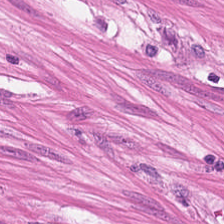224×224 px patch. H&E-stained tissue section.
Q: What is the predominant tissue type?
A: It is muscularis.
